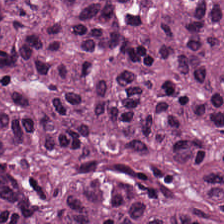H&E stain.
The predominant tissue is colorectal adenocarcinoma.
